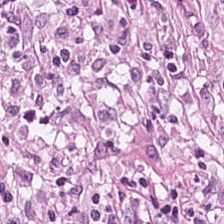Histology — tumor stroma.
